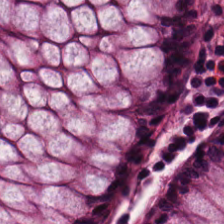20× equivalent magnification; FFPE; H&E-stained tissue section. Tissue type = benign colonic mucosa.
